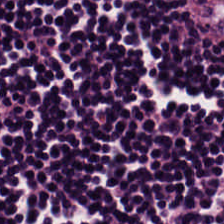Classification = lymphocyte aggregate.
